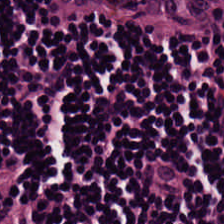Tissue type — lymphocytes.
